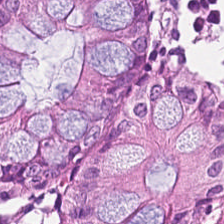Stain: H&E-stained tissue section.
Tissue: normal colon mucosa.
